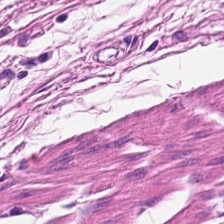Hematoxylin-and-eosin stained section · 20× equivalent magnification.
Predominant tissue: smooth muscle.
